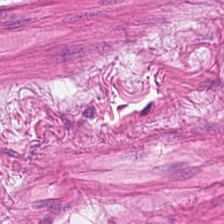Hematoxylin and eosin. Predominantly smooth-muscle tissue.
